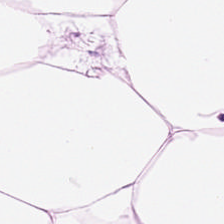FFPE tissue section; H&E-stained tissue section; 0.5 microns per pixel. Q: What tissue type is shown here?
A: This is adipocytes.
